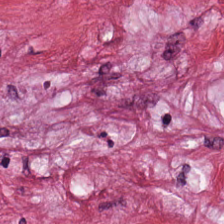Hematoxylin and eosin. {"tissue_type": "cancer-associated stroma"}
